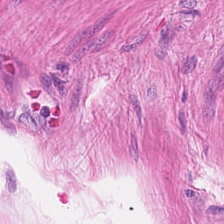Stain: hematoxylin and eosin.
Tissue type: smooth muscle.
